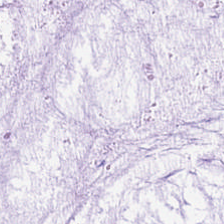0.5 µm/px; H&E; FFPE — Q: What does this patch show?
A: This is mucin.
